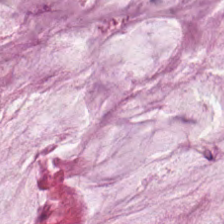224×224 px patch; H&E — This field is extracellular mucin.
